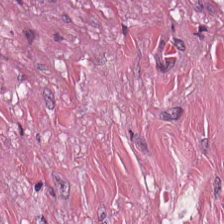224×224 px tile. Hematoxylin-and-eosin stained section.
Finding → desmoplastic stroma.
